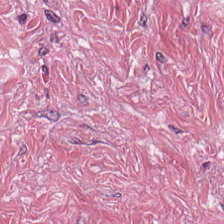Histology — tumor stroma.
